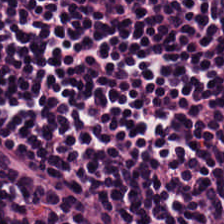Hematoxylin-and-eosin stained section.
Predominant tissue — lymphocytic infiltrate.
